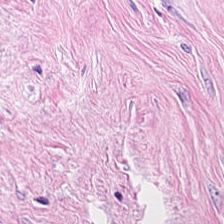H&E patch showing desmoplastic stroma.
